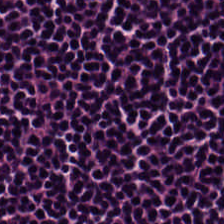H&E-stained tissue section — This field is lymphocytic infiltrate.
